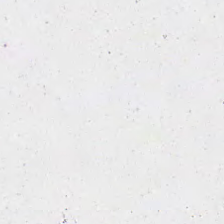This field is background (no tissue).
